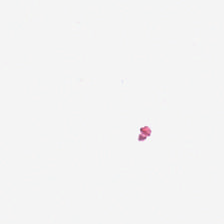H&E-stained tissue section. Content — empty background.
